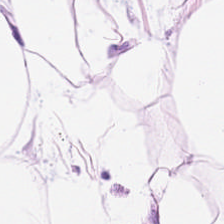H&E-stained tissue section. Q: What tissue type is shown here?
A: This is adipose tissue.
